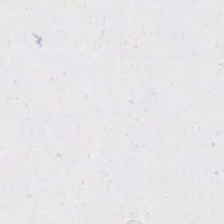Hematoxylin and eosin.
Q: What is shown here?
A: The field shows background.
